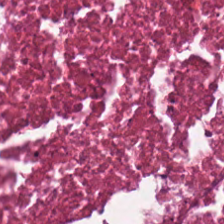Stain: H&E-stained tissue section.
Tile size: 224×224 pixel tile.
Tissue type: necrotic debris.
